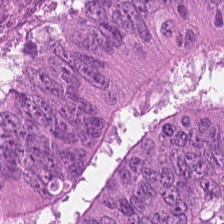0.5 µm per pixel · whole-slide-image patch · H&E stain.
This patch shows colorectal adenocarcinoma epithelium.
